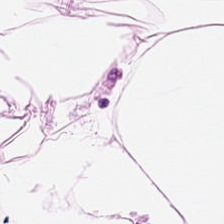Hematoxylin and eosin — Q: What type of tissue is this?
A: This is adipose tissue.
